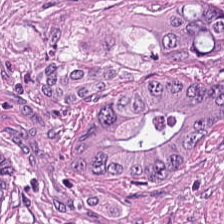H&E-stained tissue section. 0.5 µm per pixel. Brightfield microscopy — The predominant tissue is adenocarcinoma.
